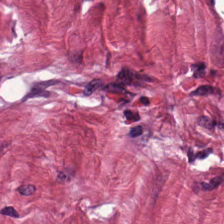Hematoxylin-and-eosin stained section — Predominantly tumor stroma.
